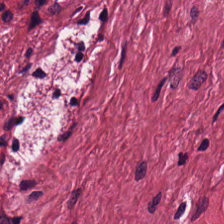H&E stain. 224×224 px patch. 20× equivalent magnification — Predominantly tumor-associated stroma.
